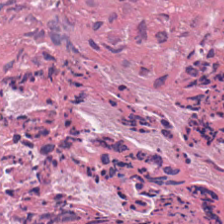H&E.
Cellular debris.
